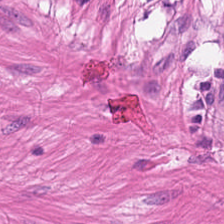224×224 pixel tile · hematoxylin and eosin. Showing smooth muscle.
